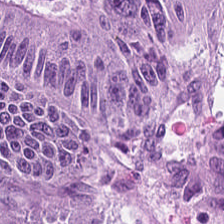H&E stain; 20× equivalent magnification.
Tissue class: malignant epithelium.
